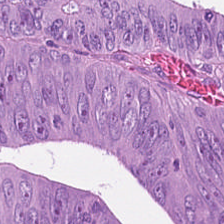Brightfield · H&E-stained tissue section.
The tissue type is adenocarcinoma.
